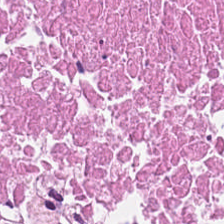Stain: hematoxylin-and-eosin stained section.
Tissue class: debris.
